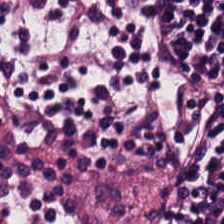H&E-stained tissue section · formalin-fixed paraffin-embedded section. Impression — lymphocytic infiltrate.
